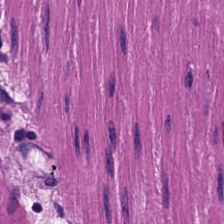Stain: H&E-stained tissue section.
Tile size: 224×224 px patch.
Preparation: FFPE.
Tissue type: muscularis.
